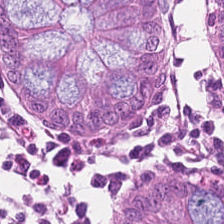H&E — The predominant tissue is benign colonic mucosa.
